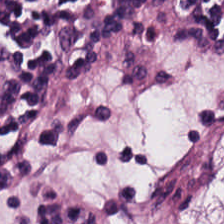H&E stain — Showing lymphocytic infiltrate.
